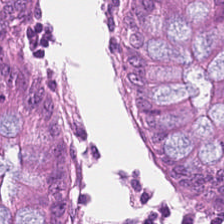Hematoxylin-and-eosin stained section. 20× equivalent magnification — Tissue class = benign colonic mucosa.
